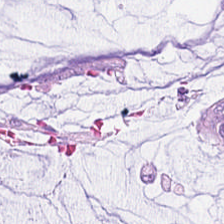Stain: H&E stain.
Preparation: FFPE.
Tissue: mucin.
